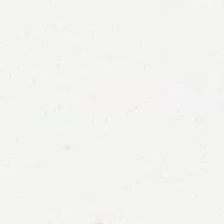Content = no tissue.
